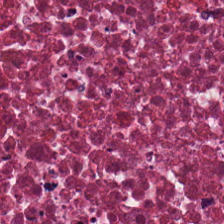H&E. Q: Classify this patch.
A: The field shows debris.
